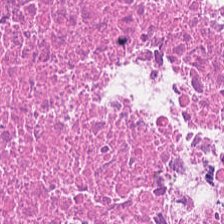Hematoxylin-and-eosin stained section — Tissue class: necrotic debris.
